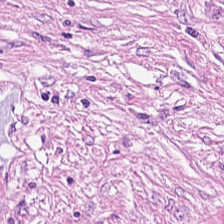H&E stain.
Tumor stroma.
